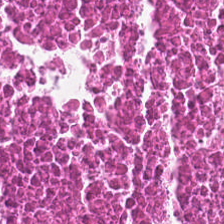224×224 px patch; hematoxylin-and-eosin stained section.
Tissue class = cellular debris.
